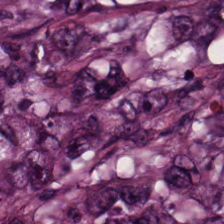Hematoxylin-and-eosin stained section · brightfield. This field is malignant epithelium.
